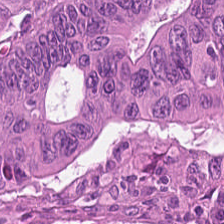Hematoxylin-and-eosin stained section. Finding → colorectal adenocarcinoma epithelium.
